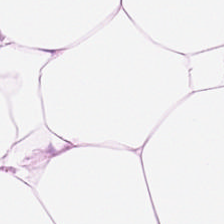H&E stain.
The tissue here is adipose.
